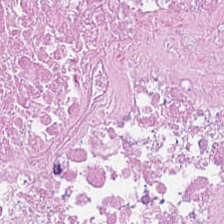224×224 pixel tile. H&E-stained tissue section.
This patch shows necrotic debris.
